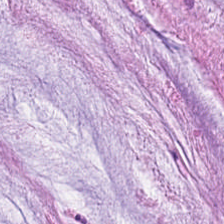H&E stain — Q: Classify this patch.
A: The field shows extracellular mucin.
